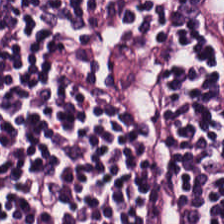Formalin-fixed paraffin-embedded section; H&E-stained tissue section.
Impression → lymphocyte aggregate.
